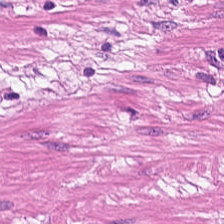Q: What is shown in this field?
A: The field shows smooth-muscle tissue.
